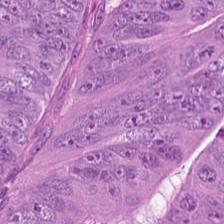Predominantly malignant epithelium.
